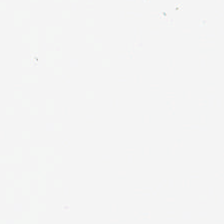This patch shows no tissue.
